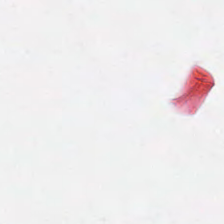Hematoxylin-and-eosin stained section — Classification: empty background.
